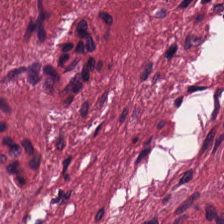Stain: hematoxylin and eosin.
Resolution: 0.5 microns per pixel.
Predominant tissue: cancer-associated stroma.
